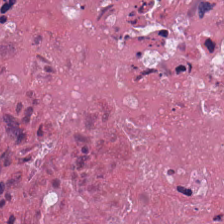H&E stain · FFPE.
Predominantly debris.
